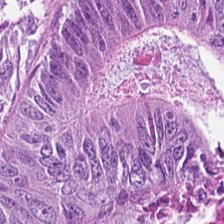Stain: hematoxylin and eosin.
Classification: malignant epithelium.
